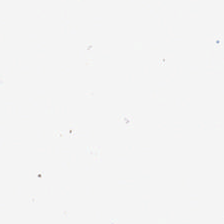Brightfield. Hematoxylin and eosin. 224×224 px patch.
Q: What is shown here?
A: No tissue.
